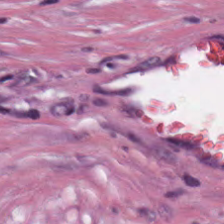H&E stain. 224×224 px patch. Brightfield microscopy. Impression → cancer-associated stroma.
